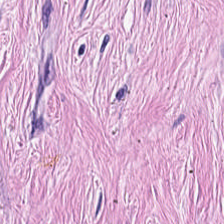0.5 µm/px; hematoxylin-and-eosin stained section; FFPE tissue section. Q: What does this patch show?
A: It is desmoplastic stroma.
